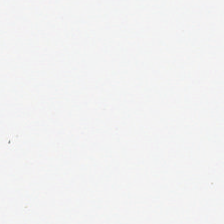Stain: H&E.
Classification: background.
